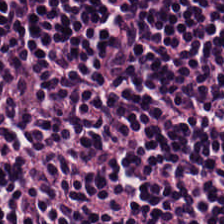H&E; FFPE tissue section.
The classification is lymphocytes.
